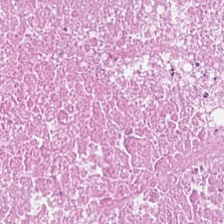Stain: H&E-stained tissue section.
Classification: cellular debris.
